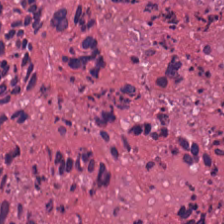H&E-stained tissue section.
Histology → debris.
